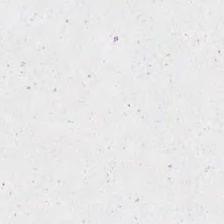H&E. 224×224 px patch — Content — no tissue.
